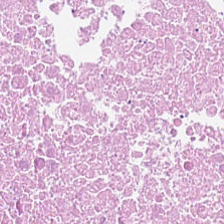H&E-stained tissue section. The tissue here is cellular debris.
